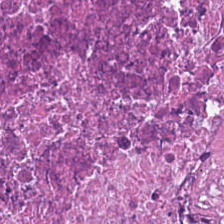Histology — necrotic debris.
